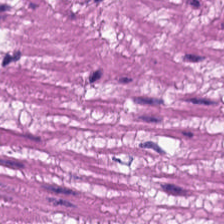{"tissue_type": "muscularis"}
